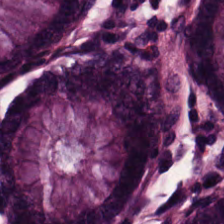H&E.
Q: What type of tissue is this?
A: It is normal colon mucosa.
